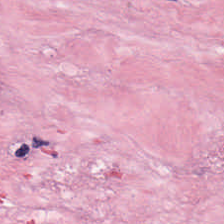Stain: hematoxylin-and-eosin stained section.
Acquisition: whole-slide-image patch.
Tissue: tumor-associated stroma.
